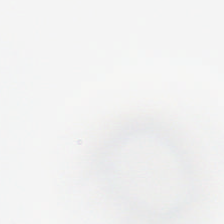Q: What is shown here?
A: This is no tissue.
